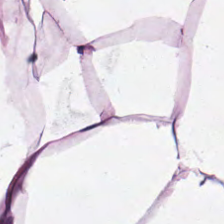224×224 pixel tile. H&E. Q: Classify this patch.
A: Adipose tissue.
